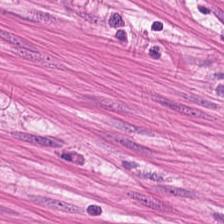Showing smooth muscle.
